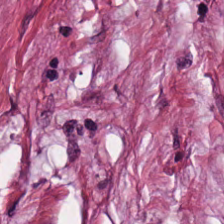Stain: H&E stain.
Tissue: tumor stroma.
